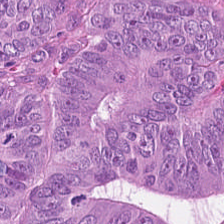Hematoxylin-and-eosin stained section. Predominantly tumor epithelium.
